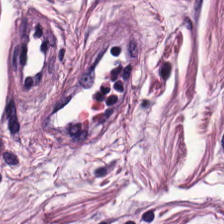Q: What is shown in this field?
A: The field shows smooth-muscle tissue.
